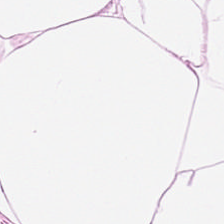Q: What is shown here?
A: It is adipocytes.
